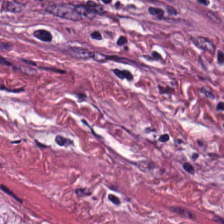Brightfield · 20× equivalent magnification · hematoxylin and eosin — {"tissue_type": "tumor-associated stroma"}
